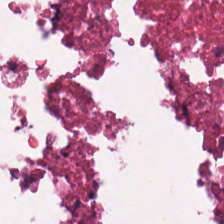Hematoxylin and eosin. Q: What tissue type is shown here?
A: It is cellular debris.
